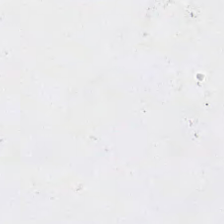Q: What does this patch show?
A: The field shows empty background.
